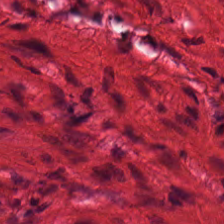H&E stain — Tissue — smooth-muscle tissue.
